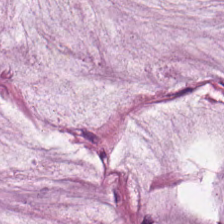Hematoxylin-and-eosin stained section — The predominant tissue is mucus.
